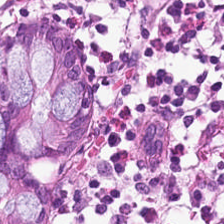FFPE tissue section · hematoxylin and eosin — The predominant tissue is normal colonic mucosa.
